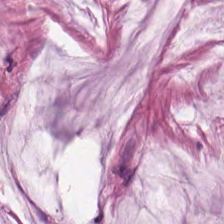0.5 µm per pixel · H&E-stained tissue section.
Showing extracellular mucin.
